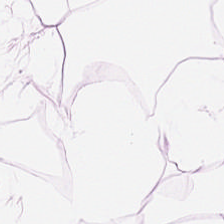Predominant tissue — adipose.
